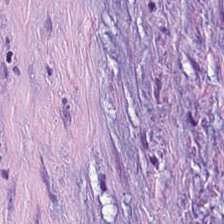Stain: hematoxylin-and-eosin stained section.
Resolution: 0.5 µm/px.
Classification: desmoplastic stroma.
